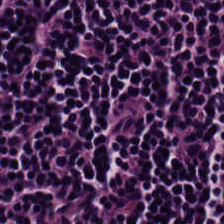Hematoxylin-and-eosin stained section; 224×224 px patch — {"tissue_type": "lymphocyte aggregate"}
